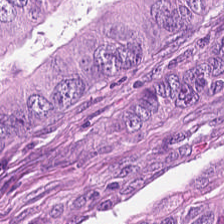Adenocarcinoma.
